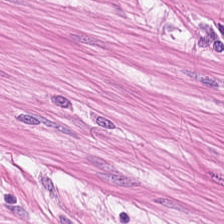H&E-stained tissue section. FFPE tissue section. Tissue class = muscularis.
